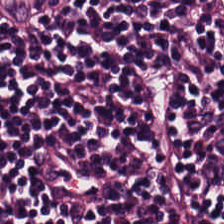H&E-stained tissue section. Tissue: lymphocytes.
